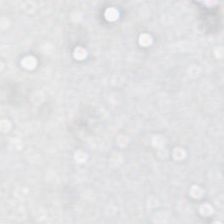Stain: H&E stain.
Tile size: 224×224 px tile.
Preparation: FFPE tissue section.
Content: background.
